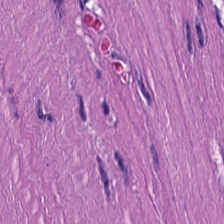H&E stain; 0.5 microns per pixel.
Impression — smooth-muscle tissue.
